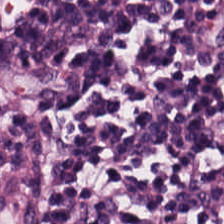H&E. Whole-slide-image patch — Classification — lymphocytic infiltrate.
